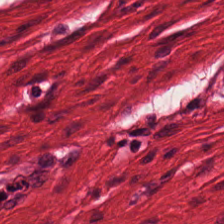FFPE tissue section · 224×224 px tile · H&E.
The tissue is smooth muscle.
